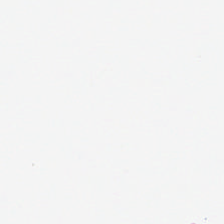Hematoxylin-and-eosin stained section; 224×224 pixel tile.
Classification = background.
